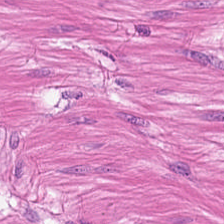Hematoxylin and eosin.
This patch shows smooth-muscle tissue.
